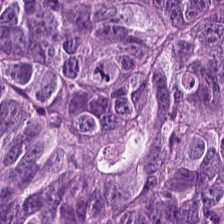Stain: hematoxylin-and-eosin stained section.
Tile size: 224×224 px tile.
Preparation: formalin-fixed paraffin-embedded section.
Tissue: adenocarcinoma.
